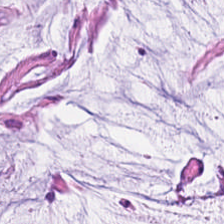20× equivalent magnification. Hematoxylin-and-eosin stained section.
Showing mucus.
